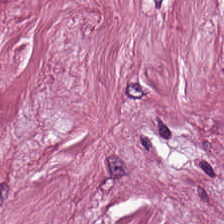Stain: H&E stain.
Predominant tissue: cancer-associated stroma.
